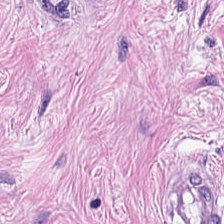Tissue = tumor stroma.
